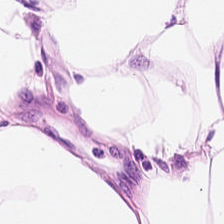Showing adipose tissue.
